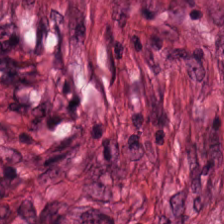Stain: hematoxylin-and-eosin stained section.
Tissue class: cancer-associated stroma.
